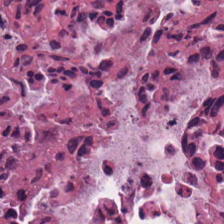Stain: H&E-stained tissue section.
Acquisition: whole-slide-image patch.
Tissue class: necrotic debris.
